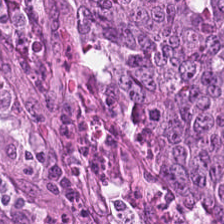0.5 microns per pixel; whole-slide-image patch; H&E stain.
Predominant tissue = malignant epithelium.
